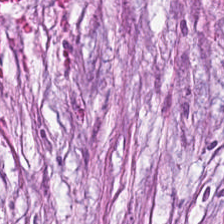Brightfield. H&E. Q: What tissue is shown?
A: The field shows tumor stroma.
